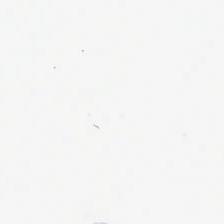Hematoxylin and eosin; brightfield microscopy; FFPE tissue section. This field is background (no tissue).
